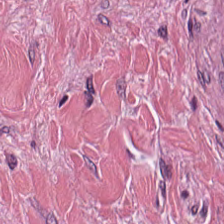224×224 px tile · H&E stain — Tumor stroma.
